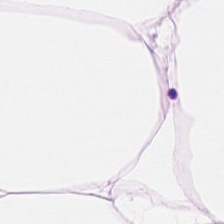Stain: H&E.
Acquisition: whole-slide-image patch.
Tissue class: adipocytes.
